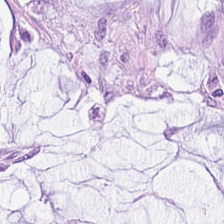H&E-stained tissue section — Finding → extracellular mucin.
